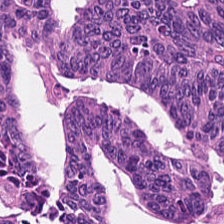0.5 µm/px · H&E stain. Tissue type: colorectal adenocarcinoma epithelium.
